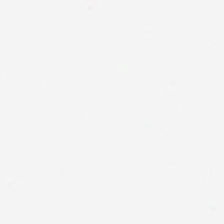H&E-stained tissue section. Background — no tissue in this field.
